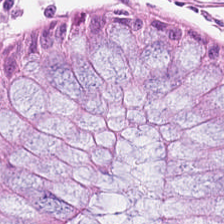Brightfield. H&E stain — Q: What does this patch show?
A: Normal colon mucosa.
